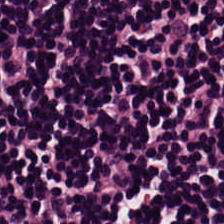Stain: hematoxylin and eosin.
Predominant tissue: lymphocyte aggregate.
